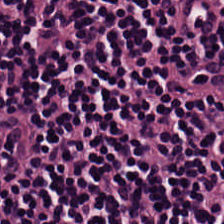H&E stain. Predominant tissue — lymphocytic infiltrate.
